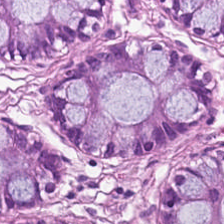0.5 microns per pixel. FFPE tissue section. H&E-stained tissue section.
This field is non-neoplastic colon mucosa.
